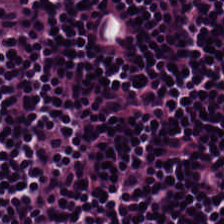Tissue = lymphocyte aggregate.
